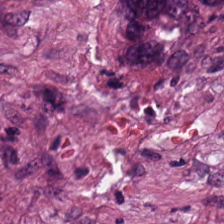WSI patch; 224×224 pixel tile; hematoxylin and eosin — Q: Classify this patch.
A: The field shows malignant epithelium.
